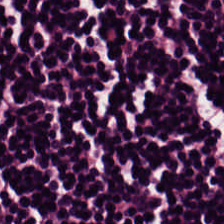Predominantly lymphocytic infiltrate.
